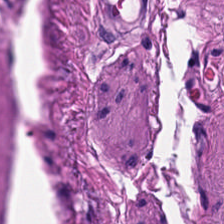H&E; formalin-fixed paraffin-embedded section.
Finding — muscularis.
